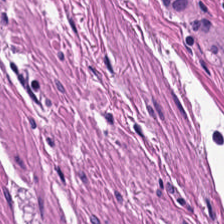Brightfield · H&E — The classification is smooth muscle.
